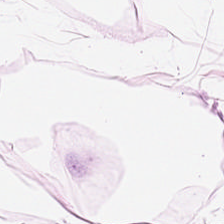H&E stain; 224×224 pixel tile.
Fat tissue.
